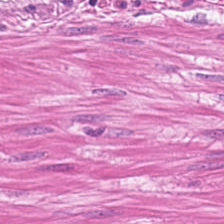H&E patch showing smooth muscle.
